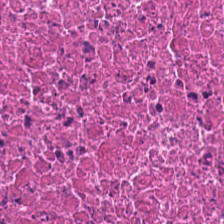H&E · 0.5 µm/px — Classification = debris.
